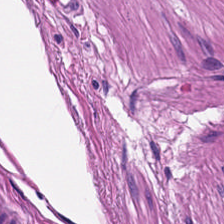H&E stain.
This patch shows smooth-muscle tissue.
